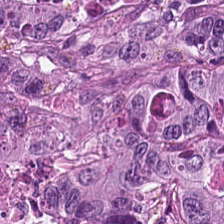Q: What is the predominant tissue type?
A: The field shows adenocarcinoma.
